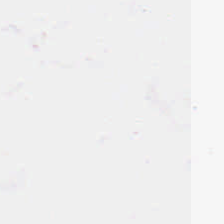Hematoxylin and eosin. No tissue present; background only.
